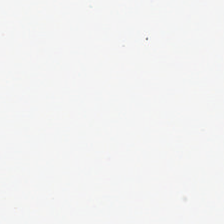Hematoxylin and eosin; whole-slide-image patch — Q: What is shown in this field?
A: No tissue.
